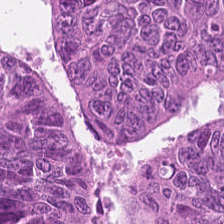20× equivalent magnification; H&E-stained tissue section. Showing colorectal adenocarcinoma epithelium.
